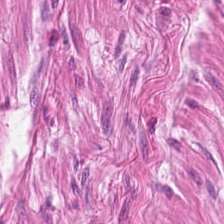224×224 px tile. H&E-stained tissue section.
Tissue type — muscularis.
